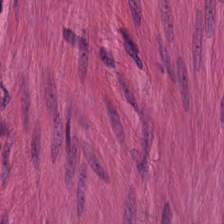Hematoxylin-and-eosin stained section. The classification is smooth-muscle tissue.
